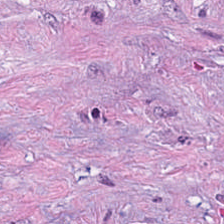Predominant tissue — desmoplastic stroma.
